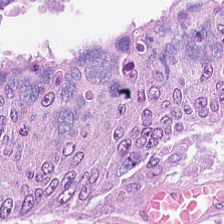H&E. Whole-slide-image patch. 0.5 microns per pixel. Histology — adenocarcinoma.
